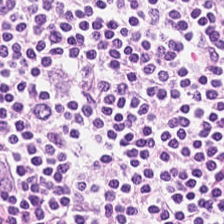H&E-stained tissue section · 224×224 px patch.
Q: What is the predominant tissue type?
A: The field shows lymphoid infiltrate.
